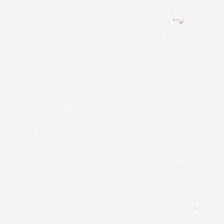Stain: H&E stain.
Classification: background.
